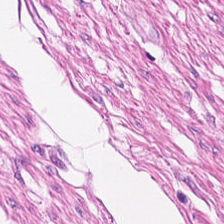Stain: H&E-stained tissue section.
Tissue class: muscularis.
